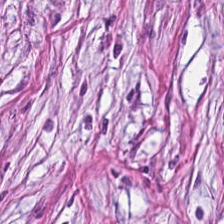20× equivalent magnification; hematoxylin-and-eosin stained section — Impression — tumor stroma.
